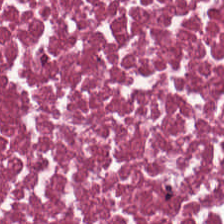0.5 µm/px. Whole-slide-image patch. H&E-stained tissue section.
Necrotic debris.
